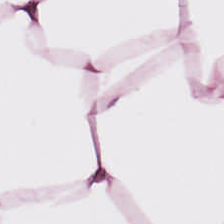Fat tissue.
